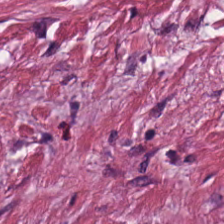H&E-stained tissue section · FFPE. Showing tumor stroma.
